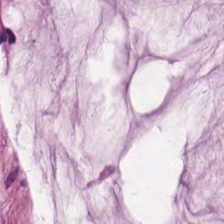Stain: H&E-stained tissue section.
Predominant tissue: extracellular mucin.
